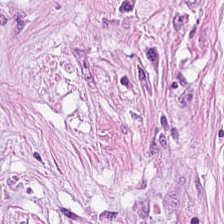H&E stain · formalin-fixed paraffin-embedded section · 0.5 µm per pixel — This field is tumor stroma.
